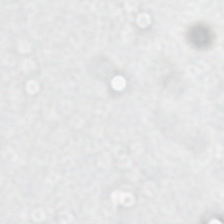Stain: hematoxylin and eosin.
Classification: background (no tissue).
